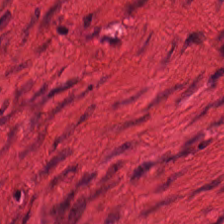H&E stain.
Finding — muscularis.
